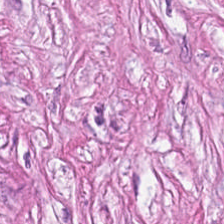Stain: H&E.
Preparation: formalin-fixed paraffin-embedded section.
Tile size: 224×224 pixel tile.
Tissue type: cancer-associated stroma.
